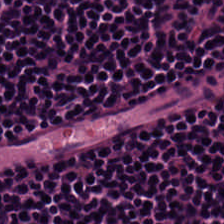Whole-slide-image patch · 0.5 microns per pixel · hematoxylin and eosin.
Showing lymphoid infiltrate.
